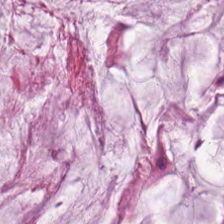H&E stain. Classification — mucus.
